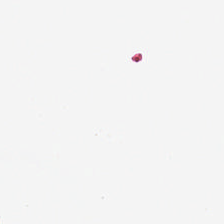H&E-stained tissue section — Background — no tissue in this field.
